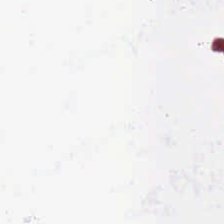Stain: H&E stain.
Classification: empty background.
